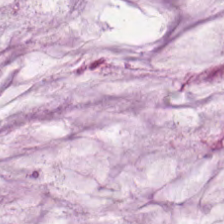Stain: H&E-stained tissue section.
Tissue type: mucin.
